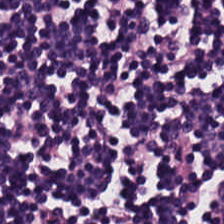Brightfield · H&E-stained tissue section.
The predominant tissue is lymphoid infiltrate.
